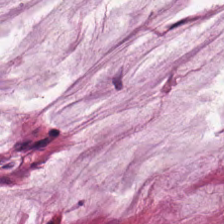H&E stain — Impression — extracellular mucin.
